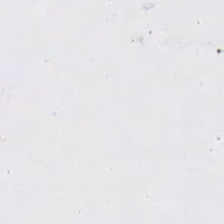Hematoxylin and eosin · 0.5 microns per pixel.
Background (no tissue).
